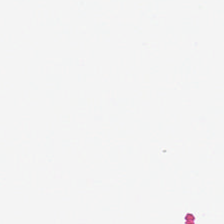H&E-stained tissue section. Classification — background (no tissue).
